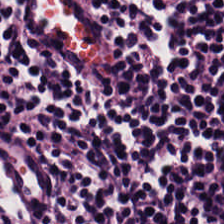H&E · FFPE — The tissue class is lymphocytes.
